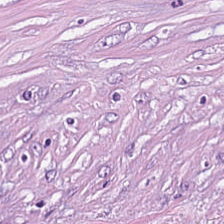Hematoxylin and eosin — The tissue here is cancer-associated stroma.
